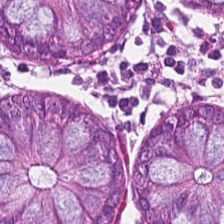224×224 px patch. Hematoxylin and eosin. FFPE.
Classification = normal colonic mucosa.
